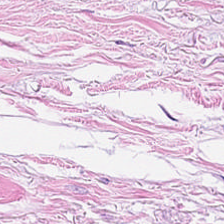The predominant tissue is tumor stroma.
